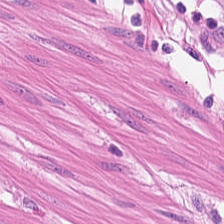Formalin-fixed paraffin-embedded section. Hematoxylin-and-eosin stained section.
Predominant tissue: smooth muscle.
